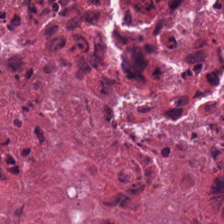H&E stain.
This field is debris.
